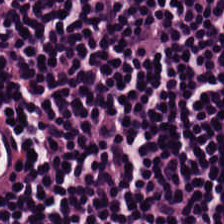Stain: hematoxylin-and-eosin stained section.
Acquisition: brightfield.
Tissue type: lymphoid infiltrate.
